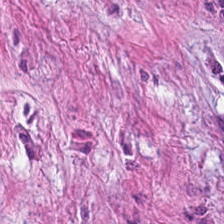Hematoxylin-and-eosin stained section · FFPE. The tissue type is desmoplastic stroma.
